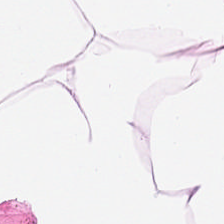224×224 px tile; H&E.
Tissue type: fat tissue.
